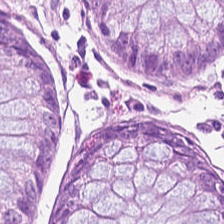H&E — Showing benign colonic mucosa.
